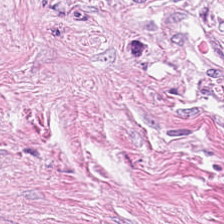Hematoxylin and eosin.
This patch shows desmoplastic stroma.
